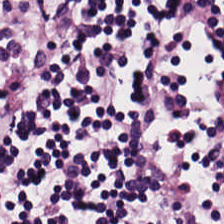Hematoxylin and eosin — The predominant tissue is lymphocytic infiltrate.
